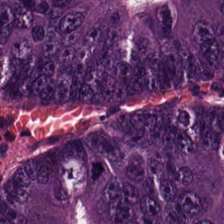0.5 µm per pixel. H&E stain. Q: Classify this patch.
A: The field shows colorectal adenocarcinoma.
